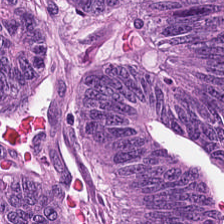Hematoxylin-and-eosin stained section — This patch shows colorectal adenocarcinoma.
